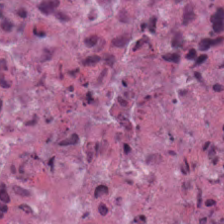20× equivalent magnification · H&E-stained tissue section. Q: What is shown here?
A: Debris.
